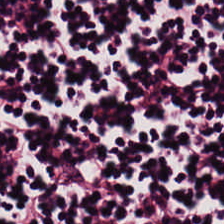0.5 µm/px. Hematoxylin and eosin. Predominant tissue = lymphocytes.
